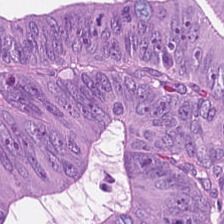0.5 µm per pixel. H&E. FFPE tissue section — Tissue type — malignant epithelium.
